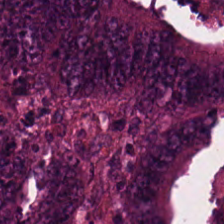Stain: hematoxylin-and-eosin stained section.
Tissue: tumor epithelium.
